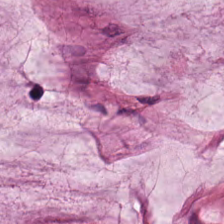Extracellular mucin.
